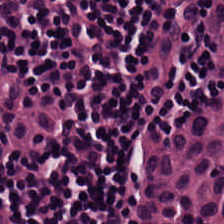H&E stain. Q: What is shown here?
A: Lymphoid infiltrate.
